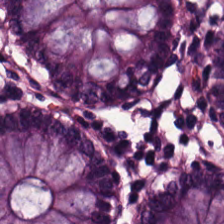H&E stain · 0.5 µm per pixel.
The predominant tissue is normal colonic mucosa.
